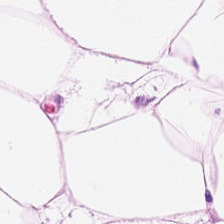224×224 px patch; whole-slide-image patch; hematoxylin and eosin.
Showing fat tissue.
